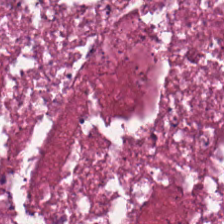H&E-stained tissue section. Showing cellular debris.
